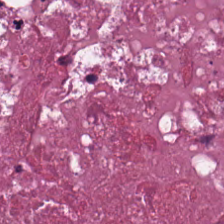H&E-stained tissue section · 20× equivalent magnification.
{"tissue_type": "cellular debris"}
